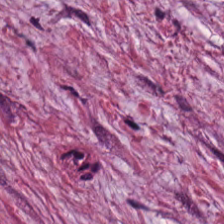Hematoxylin and eosin.
Finding — desmoplastic stroma.
